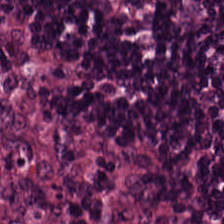Showing lymphocytic infiltrate.
